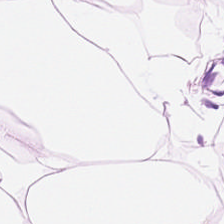224×224 px tile · H&E. {"tissue_type": "adipose tissue"}
